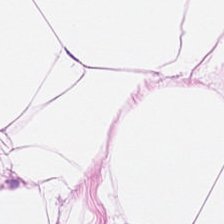H&E. 224×224 pixel tile. FFPE tissue section.
This field is adipose tissue.
